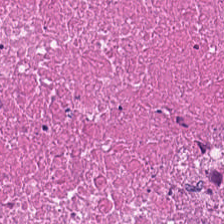Hematoxylin-and-eosin stained section. 224×224 px tile. 0.5 microns per pixel. Predominant tissue — debris.
